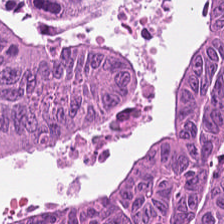Stain: H&E.
Acquisition: brightfield.
Tissue type: tumor epithelium.
